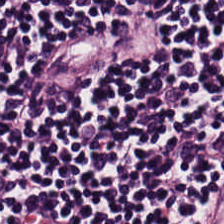Stain: H&E-stained tissue section.
Tile size: 224×224 px tile.
Predominant tissue: lymphocytes.
